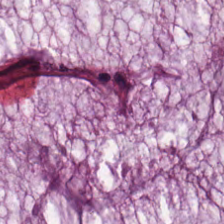FFPE; 0.5 µm/px; hematoxylin-and-eosin stained section. {"tissue_type": "mucin"}
